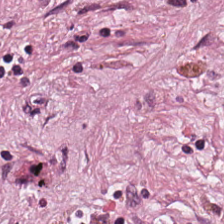H&E. The tissue here is tumor-associated stroma.
